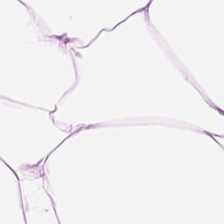H&E-stained tissue section.
The classification is adipose.
